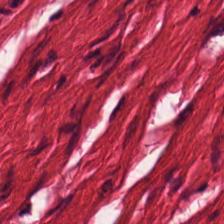H&E-stained tissue section showing smooth muscle.
